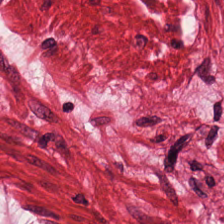Q: What is shown here?
A: This is muscularis.
